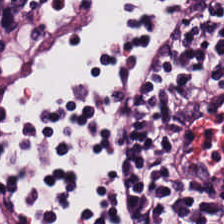Hematoxylin-and-eosin stained section. Showing lymphoid infiltrate.
